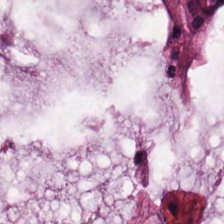H&E-stained tissue section — This patch shows mucus.
